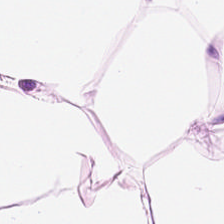Hematoxylin-and-eosin stained section — {"tissue_type": "fat tissue"}
